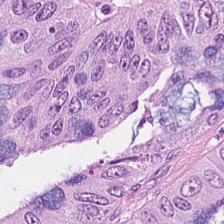WSI patch; hematoxylin-and-eosin stained section.
This patch shows colorectal adenocarcinoma epithelium.
